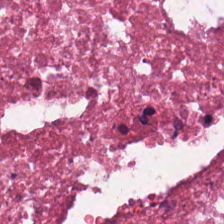H&E; formalin-fixed paraffin-embedded section; 224×224 px patch.
Showing debris.
